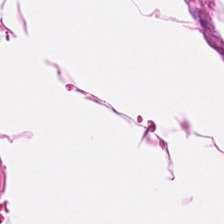20× equivalent magnification. Hematoxylin-and-eosin stained section.
{"tissue_type": "smooth muscle"}
